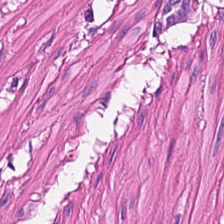224×224 px patch · hematoxylin and eosin — Muscularis.
